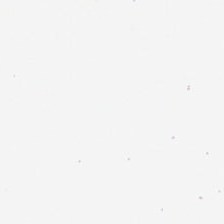Hematoxylin and eosin.
Field content — empty background.
